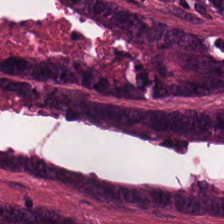H&E-stained tissue section; 0.5 microns per pixel. {"tissue_type": "colorectal adenocarcinoma"}
